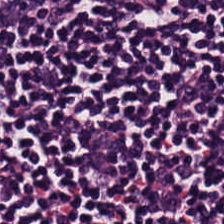Q: What does this patch show?
A: The field shows lymphocyte aggregate.
